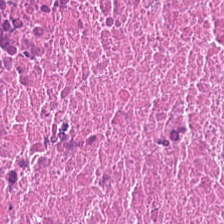Whole-slide-image patch; formalin-fixed paraffin-embedded section; H&E-stained tissue section — Finding → debris.
